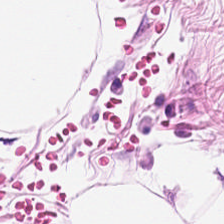H&E stain. 0.5 µm/px — Q: What is the predominant tissue type?
A: Adipose tissue.
